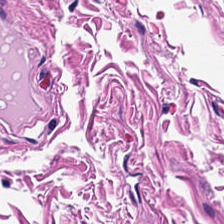H&E-stained tissue section; whole-slide-image patch; 224×224 px patch — The classification is smooth-muscle tissue.
